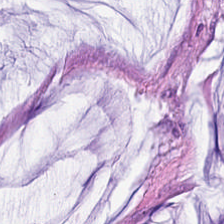H&E.
Impression — mucin.
